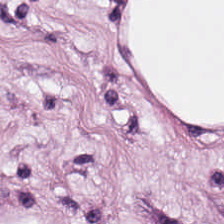Hematoxylin-and-eosin stained section; WSI patch — Q: Identify the tissue.
A: This is adipose tissue.
